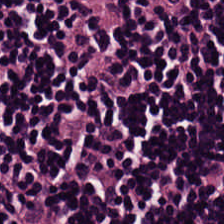H&E-stained tissue section.
Predominant tissue — lymphocyte aggregate.
